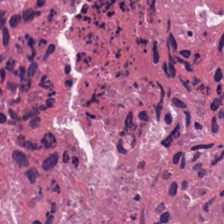H&E.
Q: Identify the tissue.
A: This is cellular debris.
